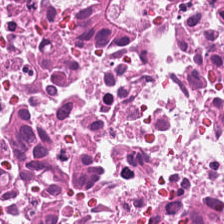0.5 µm per pixel. H&E stain. FFPE tissue section — Classification — debris.
